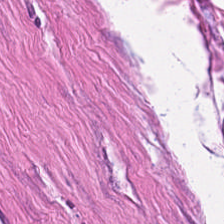H&E patch showing smooth muscle.
